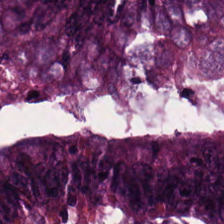Hematoxylin and eosin · FFPE · 20× equivalent magnification — Tissue class: colorectal adenocarcinoma.
